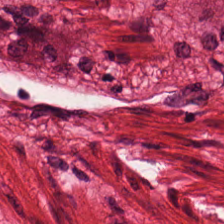H&E. Tissue type — smooth-muscle tissue.
